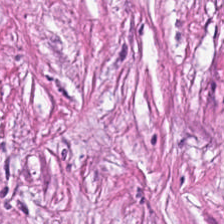H&E stain · 224×224 px tile — The tissue here is tumor-associated stroma.
